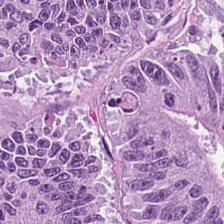H&E stain · 224×224 px patch · FFPE tissue section — The tissue type is colorectal adenocarcinoma epithelium.
